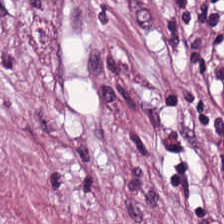Hematoxylin and eosin. The tissue here is desmoplastic stroma.
